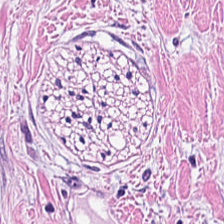Stain: H&E stain.
Resolution: 20× equivalent magnification.
Tile size: 224×224 px patch.
Predominant tissue: tumor-associated stroma.
